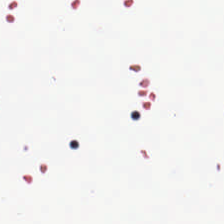H&E-stained tissue section.
Finding — empty background.
